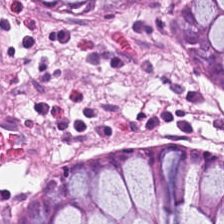H&E-stained tissue section · 0.5 microns per pixel · 224×224 pixel tile — Predominantly normal colon mucosa.
